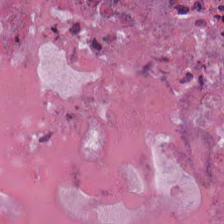Hematoxylin and eosin; whole-slide-image patch — Q: What tissue type is shown here?
A: Cellular debris.
